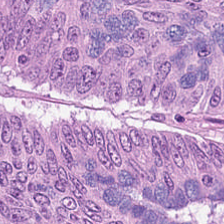FFPE · H&E. Showing adenocarcinoma.
